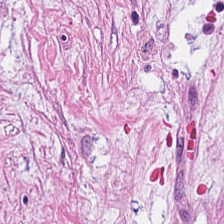Predominantly desmoplastic stroma.
